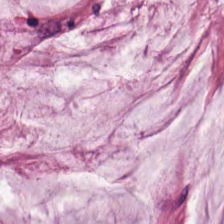Hematoxylin-and-eosin stained section.
Predominant tissue: mucus.
